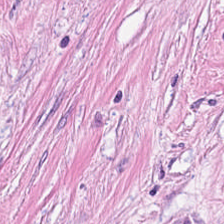H&E-stained tissue section. 0.5 microns per pixel. Showing tumor stroma.
